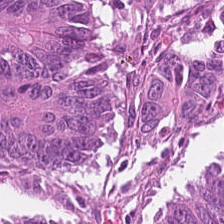H&E. Tissue class: malignant epithelium.
